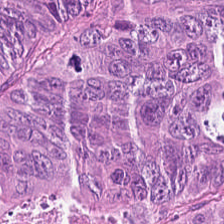Hematoxylin-and-eosin stained section.
This patch shows adenocarcinoma.
